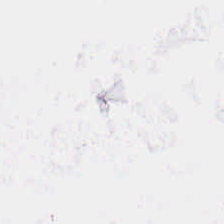H&E stain · 224×224 px tile.
This patch shows empty background.
